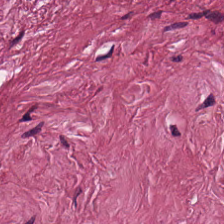Formalin-fixed paraffin-embedded section. Hematoxylin and eosin.
Finding — tumor stroma.
